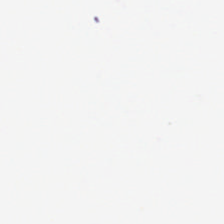H&E. Finding → empty background.
